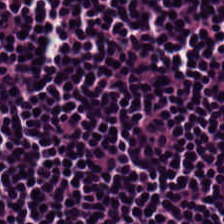H&E stain. Tissue — lymphoid infiltrate.
